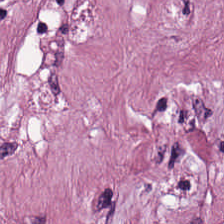224×224 px patch · 0.5 microns per pixel · hematoxylin and eosin. Impression — tumor-associated stroma.
